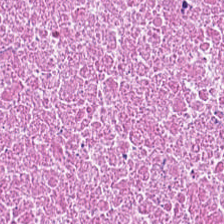Hematoxylin and eosin.
This field is cellular debris.
